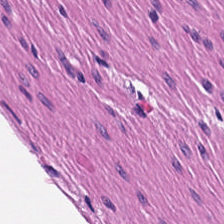Stain: hematoxylin and eosin.
Tissue class: muscularis.
